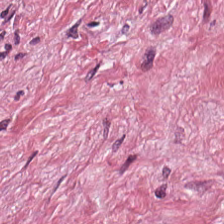Classification — tumor-associated stroma.
